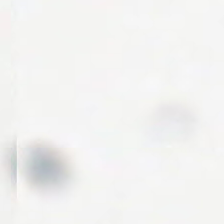Hematoxylin and eosin.
This patch shows background (no tissue).
